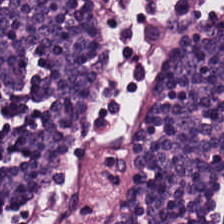H&E stain. The predominant tissue is lymphocytes.
